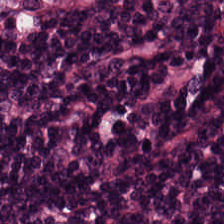224×224 px tile. H&E.
This patch shows lymphocytes.
